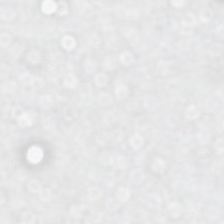FFPE; H&E — No tissue present; background only.
